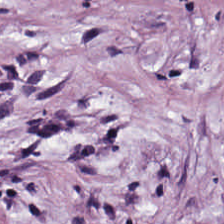H&E-stained tissue section. The tissue here is cancer-associated stroma.
